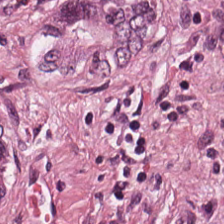Hematoxylin-and-eosin stained section; FFPE tissue section — This patch shows tumor stroma.
